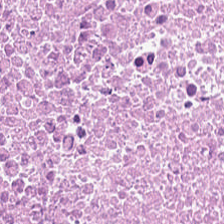H&E; brightfield microscopy — Q: What tissue type is shown here?
A: It is necrotic debris.
